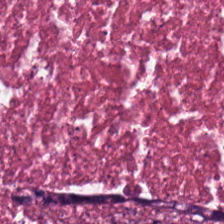Predominantly necrotic debris.
